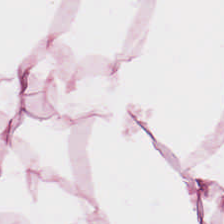FFPE tissue section · hematoxylin and eosin · 20× equivalent magnification. Predominantly fat tissue.
